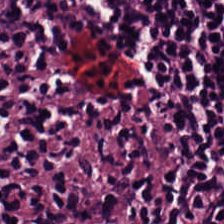Stain: hematoxylin-and-eosin stained section.
Classification: lymphocytic infiltrate.
